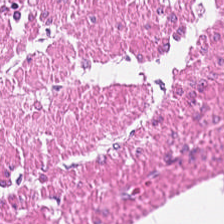Finding — muscularis.
